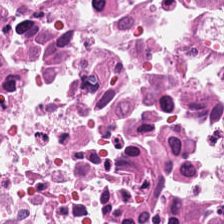H&E-stained tissue section.
Impression — cellular debris.
